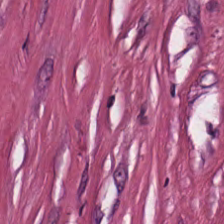Brightfield · hematoxylin-and-eosin stained section.
Q: What is the predominant tissue type?
A: The field shows tumor stroma.
